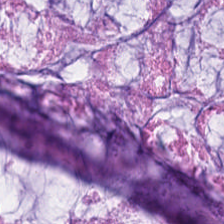0.5 microns per pixel; H&E-stained tissue section — Histology → mucin.
